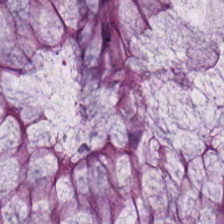H&E-stained tissue section.
This patch shows benign colonic mucosa.
